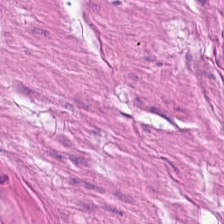The tissue here is smooth muscle.
